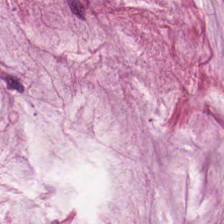H&E-stained tissue section.
Classification — mucin.
